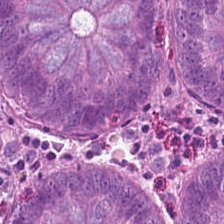Stain: H&E.
Tissue: non-neoplastic colon mucosa.
